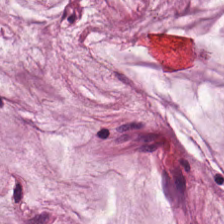H&E-stained tissue section — Tissue — extracellular mucin.
